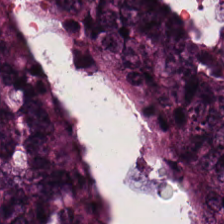H&E. The tissue is adenocarcinoma.
